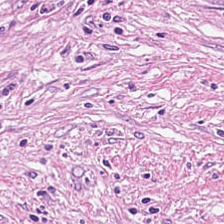FFPE tissue section; hematoxylin and eosin — Predominantly desmoplastic stroma.
